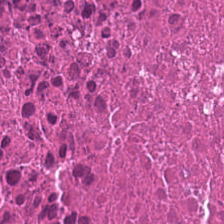0.5 µm per pixel; H&E-stained tissue section; 224×224 pixel tile — The tissue here is cellular debris.
